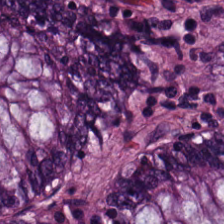Benign colonic mucosa.
